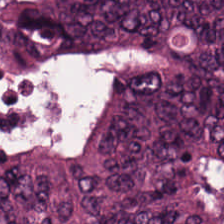H&E — Q: What is the predominant tissue type?
A: The field shows colorectal adenocarcinoma.
